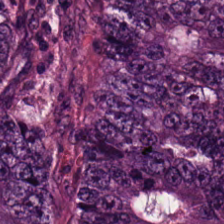224×224 px tile; H&E stain — Q: What tissue type is shown here?
A: The field shows malignant epithelium.
